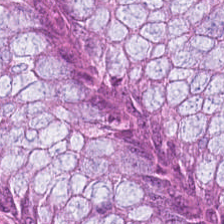Hematoxylin-and-eosin stained section.
Histology — non-neoplastic colon mucosa.
